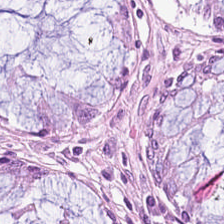Tissue class — normal colon mucosa.
